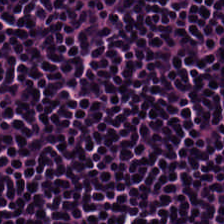Q: What does this patch show?
A: The field shows lymphocytes.
